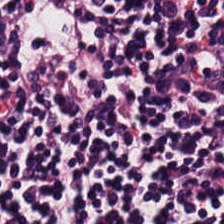Formalin-fixed paraffin-embedded section. Brightfield. Hematoxylin and eosin. The predominant tissue is lymphocyte aggregate.
